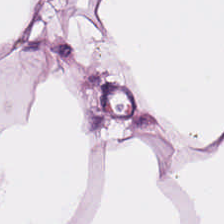H&E-stained tissue section.
Q: Classify this patch.
A: Fat tissue.
